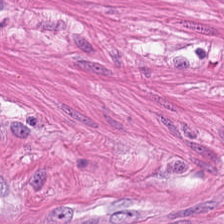Stain: H&E stain.
Predominant tissue: smooth muscle.
